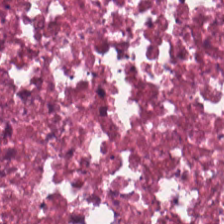H&E-stained tissue section; 0.5 microns per pixel. Tissue type = necrotic debris.
